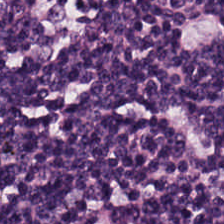Hematoxylin-and-eosin stained section. Lymphocytic infiltrate.
